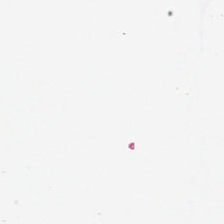H&E-stained tissue section — This field is background (no tissue).
